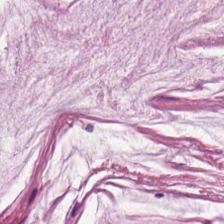0.5 microns per pixel. H&E. FFPE — Mucin.
